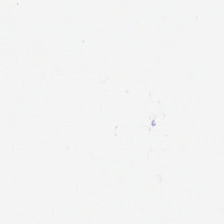224×224 px patch · H&E-stained tissue section — Histology — background (no tissue).
